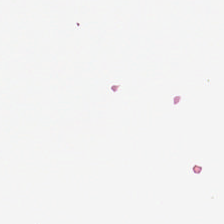Hematoxylin-and-eosin stained section · 224×224 px patch · formalin-fixed paraffin-embedded section.
{"content": "empty background"}
